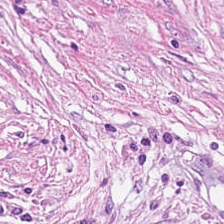Hematoxylin-and-eosin stained section — Finding → tumor stroma.
